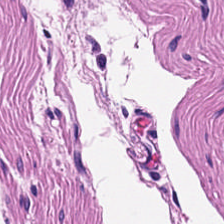FFPE tissue section; hematoxylin-and-eosin stained section. This field is muscularis.
